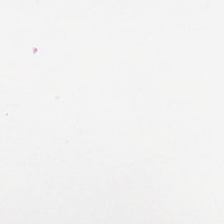Histology → no tissue.
